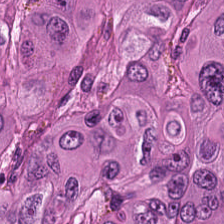Hematoxylin and eosin — Predominant tissue: malignant epithelium.
